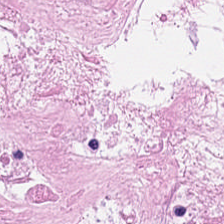Hematoxylin-and-eosin stained section. Tissue type = cellular debris.
